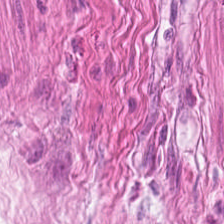Impression → smooth-muscle tissue.
